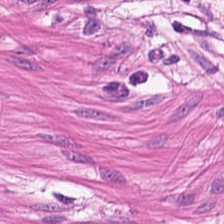H&E. Q: What is shown in this field?
A: This is smooth-muscle tissue.
